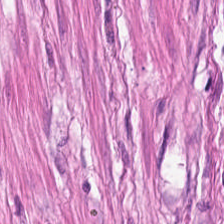The tissue here is muscularis.
